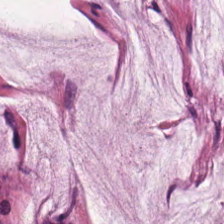Hematoxylin-and-eosin stained section. 224×224 px patch. Showing mucus.
